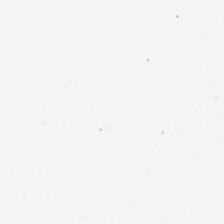20× equivalent magnification; 224×224 px tile; hematoxylin-and-eosin stained section.
No tissue present; background only.
